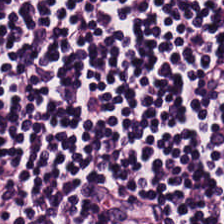WSI patch. Hematoxylin and eosin — Impression — lymphocytic infiltrate.
